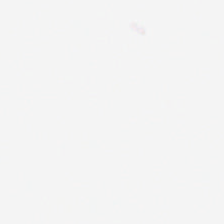224×224 pixel tile · hematoxylin-and-eosin stained section — Background — no tissue in this field.
